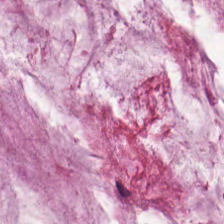H&E-stained tissue section; FFPE tissue section.
This field is extracellular mucin.
